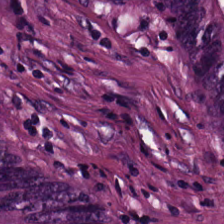0.5 µm/px; hematoxylin-and-eosin stained section. Classification — colorectal adenocarcinoma.
